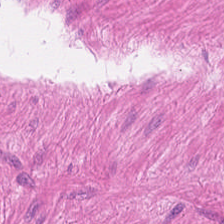H&E stain. This field is smooth muscle.
